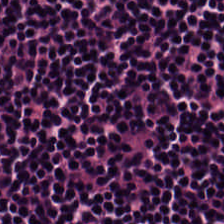Hematoxylin and eosin; 20× equivalent magnification — The predominant tissue is lymphoid infiltrate.
